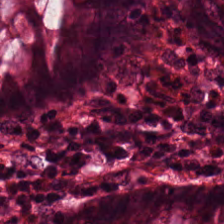Hematoxylin and eosin.
The tissue is non-neoplastic colon mucosa.
